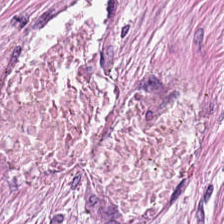WSI patch. Hematoxylin-and-eosin stained section. Tumor stroma.
